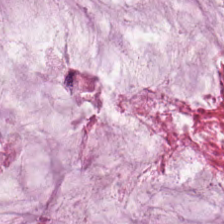H&E · 0.5 µm/px — Extracellular mucin.
